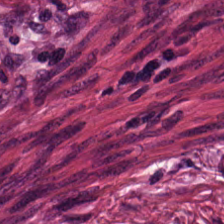Stain: H&E stain.
Classification: desmoplastic stroma.
